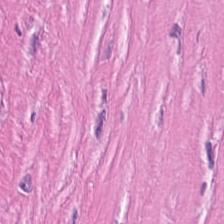Brightfield. H&E stain — The tissue type is desmoplastic stroma.
